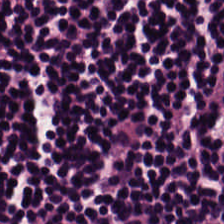WSI patch; hematoxylin-and-eosin stained section.
Q: What tissue is shown?
A: The field shows lymphoid infiltrate.
